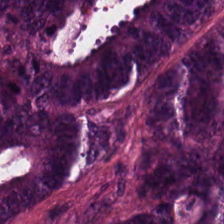H&E stain.
{"tissue_type": "colorectal adenocarcinoma"}
